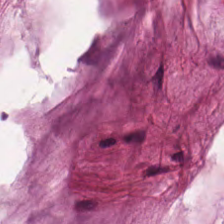The predominant tissue is mucus.
